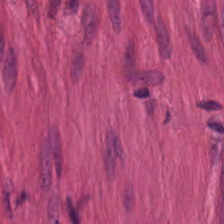0.5 µm/px; FFPE; hematoxylin-and-eosin stained section.
Predominant tissue: smooth-muscle tissue.
